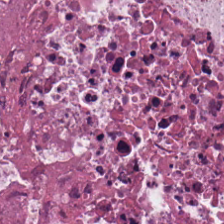H&E.
The tissue here is cellular debris.
